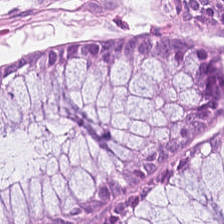Classification = benign colonic mucosa.
